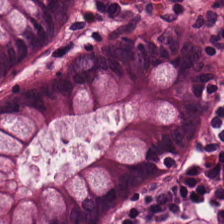H&E-stained tissue section.
{"tissue_type": "normal colon mucosa"}
